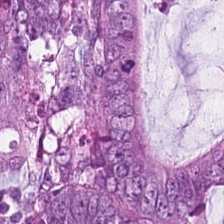Stain: H&E.
Classification: malignant epithelium.
